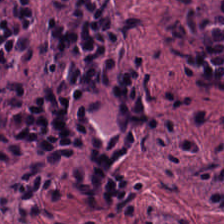Hematoxylin-and-eosin stained section.
Predominant tissue — lymphocytic infiltrate.
